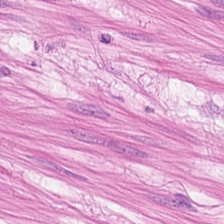H&E-stained tissue section. 20× equivalent magnification. 224×224 px patch. Smooth muscle.
